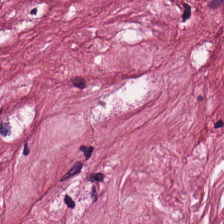Stain: hematoxylin-and-eosin stained section.
Tissue type: desmoplastic stroma.
